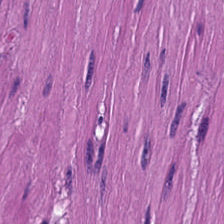Brightfield microscopy. H&E. 224×224 px patch. Smooth muscle.
